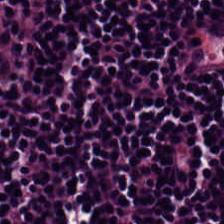Hematoxylin and eosin. The tissue here is lymphocytic infiltrate.
